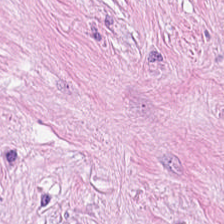H&E · 0.5 µm per pixel · WSI patch. Tissue type — tumor-associated stroma.
